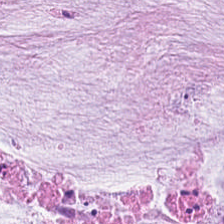This patch shows mucus.
